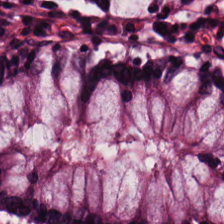Hematoxylin-and-eosin stained section — Predominant tissue = normal colonic mucosa.
